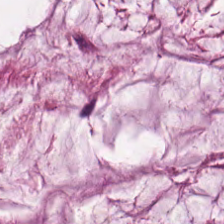H&E stain. Q: What is shown in this field?
A: This is mucus.
